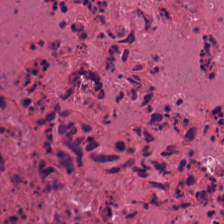Stain: hematoxylin and eosin.
Preparation: FFPE tissue section.
Tile size: 224×224 px tile.
Tissue class: necrotic debris.
